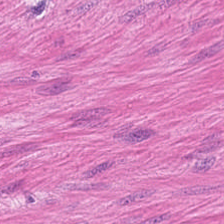Hematoxylin-and-eosin stained section. This field is smooth-muscle tissue.
